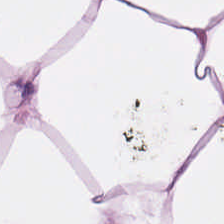H&E — This field is fat tissue.
